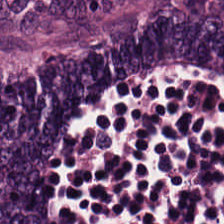H&E stain.
Classification: tumor epithelium.
